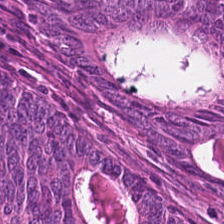Stain: H&E.
Acquisition: brightfield microscopy.
Tile size: 224×224 px patch.
Tissue type: colorectal adenocarcinoma.
